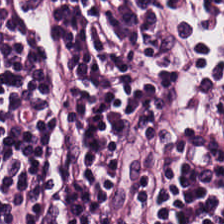H&E. The predominant tissue is lymphocytic infiltrate.
